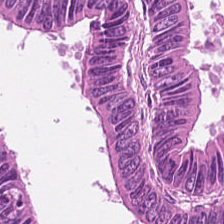H&E · 224×224 pixel tile.
Impression — tumor epithelium.
